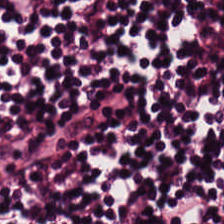The tissue here is lymphocyte aggregate.
